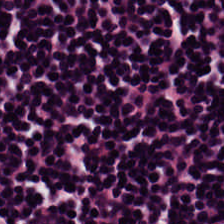Tissue: lymphoid infiltrate.
